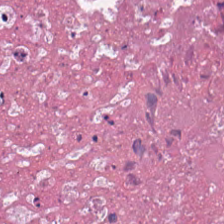Debris.
